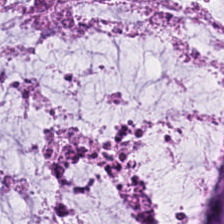H&E — mucus.
